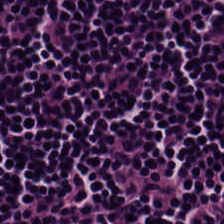Hematoxylin-and-eosin stained section · 224×224 px patch — Predominant tissue — lymphocytes.
